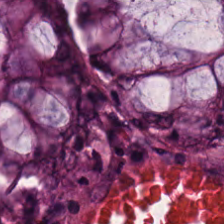Tissue class — benign colonic mucosa.
